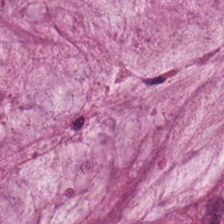H&E · FFPE tissue section · 224×224 px patch — Predominantly extracellular mucin.
